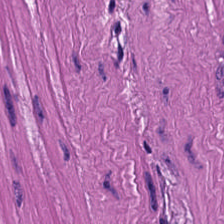{"tissue_type": "smooth muscle"}
